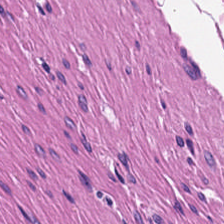H&E stain. 0.5 µm/px. The tissue type is smooth-muscle tissue.
